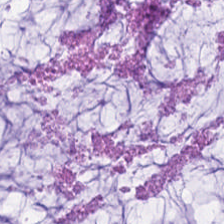Stain: H&E.
Classification: extracellular mucin.
